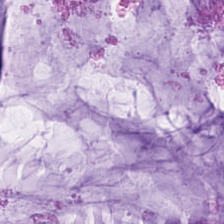Hematoxylin and eosin.
Q: Classify this patch.
A: Mucin.
